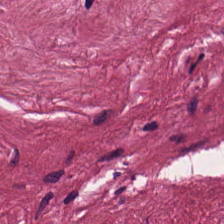Hematoxylin-and-eosin stained section — Tissue = tumor stroma.
